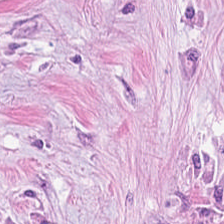Showing cancer-associated stroma.
